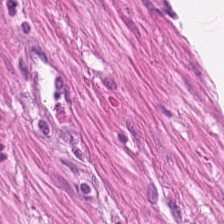Hematoxylin and eosin — Classification — smooth muscle.
